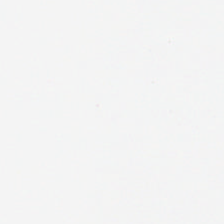H&E stain; 224×224 px tile.
No tissue.
